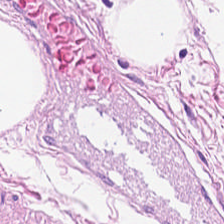20× equivalent magnification · hematoxylin-and-eosin stained section. Tissue: adipose.
